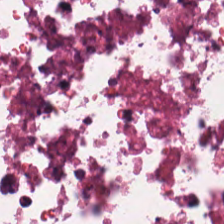The tissue here is necrotic debris.
